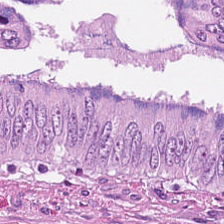Finding → colorectal adenocarcinoma epithelium.
